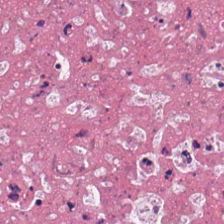Hematoxylin and eosin. {"tissue_type": "debris"}
